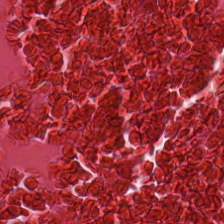Hematoxylin-and-eosin stained section — Debris.
